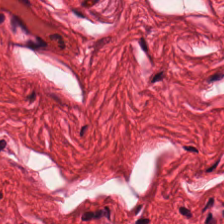Histology → smooth-muscle tissue.
